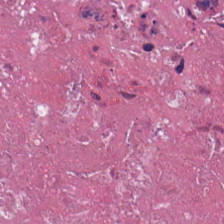0.5 µm/px; H&E-stained tissue section; 224×224 pixel tile. Q: What is shown in this field?
A: The field shows debris.
